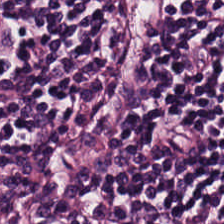H&E stain.
Histology → lymphocyte aggregate.
